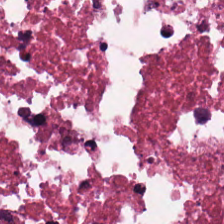H&E. 0.5 µm/px.
Predominant tissue: necrotic debris.
